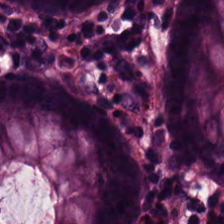Hematoxylin and eosin — Predominantly non-neoplastic colon mucosa.
